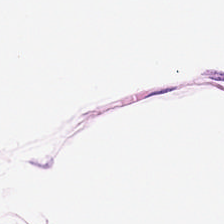H&E-stained tissue section; WSI patch; formalin-fixed paraffin-embedded section.
Tissue class — adipose.
